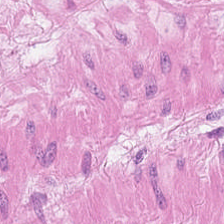Hematoxylin and eosin.
The tissue class is smooth muscle.
